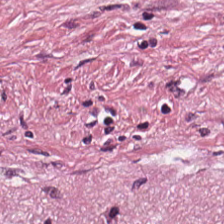H&E-stained tissue section.
The tissue here is cancer-associated stroma.
